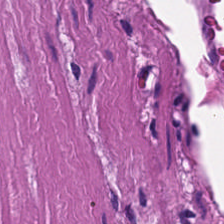Hematoxylin and eosin. Formalin-fixed paraffin-embedded section.
Histology → smooth muscle.
